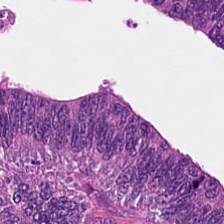Stain: hematoxylin and eosin.
Tissue: tumor epithelium.
